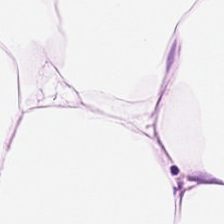H&E.
The tissue here is adipocytes.
